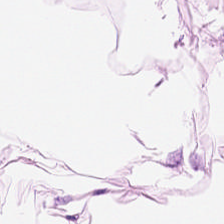Stain: H&E-stained tissue section.
Predominant tissue: adipocytes.
